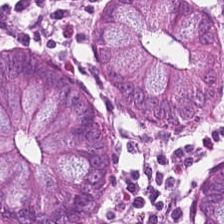Stain: H&E stain.
Tissue type: benign colonic mucosa.
